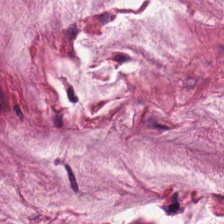H&E-stained tissue section.
Classification: mucus.
